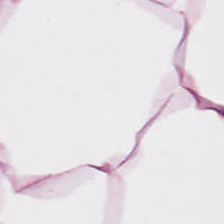H&E stain · brightfield microscopy. Tissue class: adipose.
